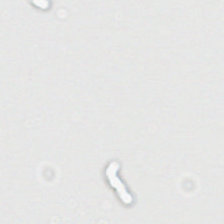224×224 px tile; formalin-fixed paraffin-embedded section; H&E-stained tissue section — This field is background (no tissue).
